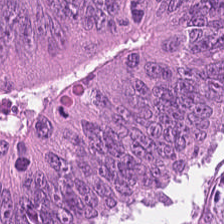Hematoxylin and eosin.
Tumor epithelium.
